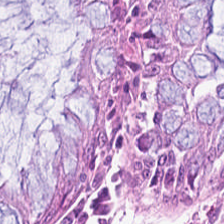Hematoxylin-and-eosin stained section.
Q: What type of tissue is this?
A: It is benign colonic mucosa.
